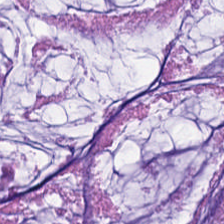H&E patch showing extracellular mucin.
